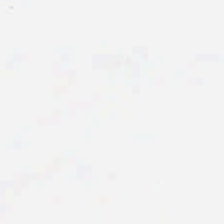H&E-stained tissue section — Empty background.
